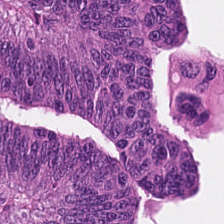H&E · FFPE. The predominant tissue is adenocarcinoma.
